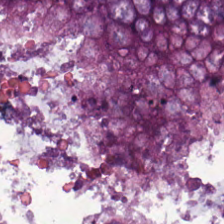Histology — tumor epithelium.
